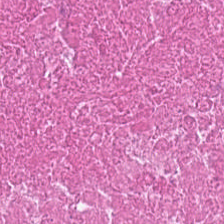H&E · FFPE · 224×224 px patch. Tissue type — cellular debris.
